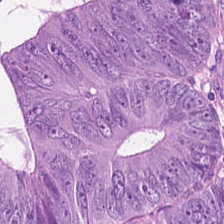H&E-stained tissue section showing adenocarcinoma.
